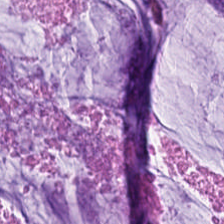Q: What is shown in this field?
A: Extracellular mucin.
